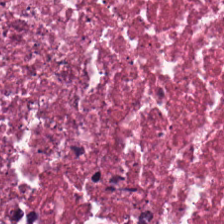Hematoxylin and eosin.
The predominant tissue is debris.
